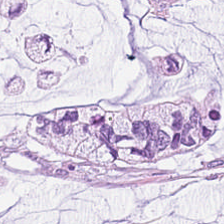H&E-stained tissue section. Tissue = mucus.
